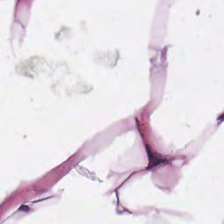H&E. Classification — adipose tissue.
